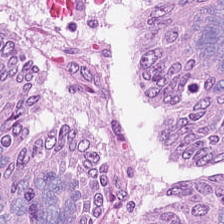Hematoxylin and eosin — Q: What tissue is shown?
A: The field shows tumor epithelium.
